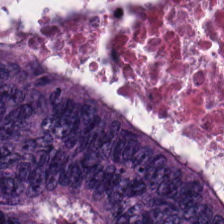224×224 px tile; H&E stain — Predominant tissue = colorectal adenocarcinoma epithelium.
